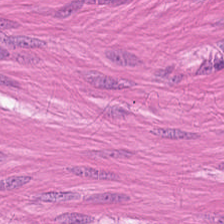Q: What is shown in this field?
A: The field shows muscularis.
